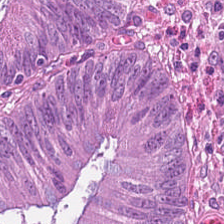Hematoxylin-and-eosin stained section · 224×224 px patch.
This patch shows tumor epithelium.
